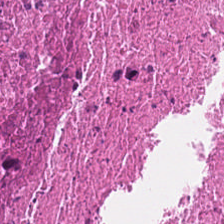Finding → cellular debris.
